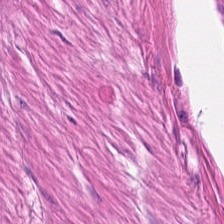H&E stain. FFPE tissue section. WSI patch.
Classification = smooth muscle.
